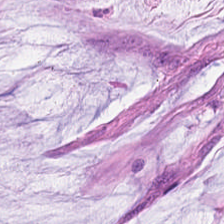Extracellular mucin.
